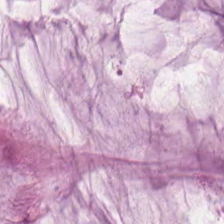H&E stain. Tissue class: mucin.
